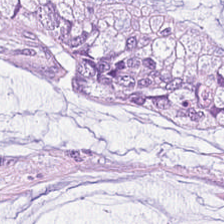Finding → extracellular mucin.
